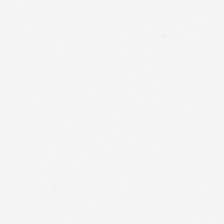Brightfield · formalin-fixed paraffin-embedded section · hematoxylin and eosin.
Empty field — no tissue.
